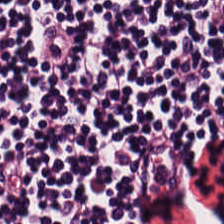Finding — lymphocyte aggregate.
